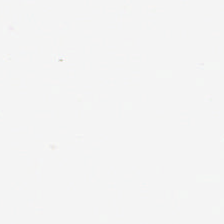Hematoxylin and eosin.
This field is background (no tissue).
